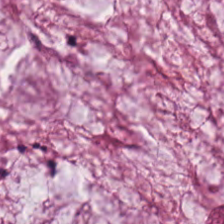Stain: hematoxylin-and-eosin stained section.
Resolution: 0.5 microns per pixel.
Tissue type: extracellular mucin.
